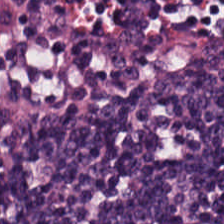H&E stain.
Q: What does this patch show?
A: The field shows lymphoid infiltrate.
